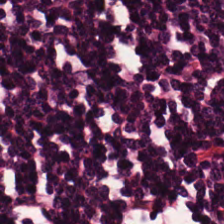H&E-stained tissue section.
Tissue type = lymphocytic infiltrate.
